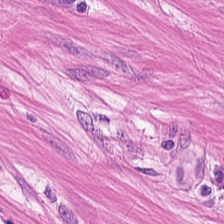H&E stain — Finding → smooth-muscle tissue.
